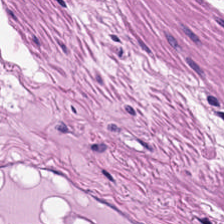Hematoxylin-and-eosin stained section.
Q: What does this patch show?
A: Smooth muscle.
